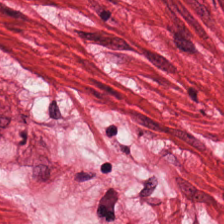The predominant tissue is smooth-muscle tissue.
